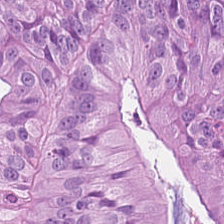Stain: H&E stain.
Tile size: 224×224 px patch.
Classification: colorectal adenocarcinoma epithelium.
